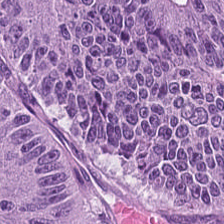Finding → malignant epithelium.
